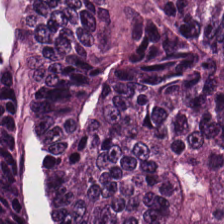Hematoxylin-and-eosin stained section · brightfield — The tissue class is colorectal adenocarcinoma epithelium.
